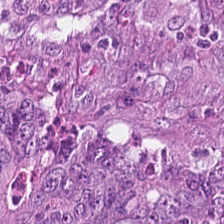Finding — tumor epithelium.
